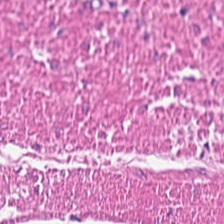H&E-stained tissue section. {"tissue_type": "muscularis"}
